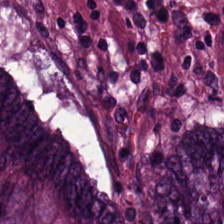Whole-slide-image patch. H&E-stained tissue section. FFPE tissue section — The predominant tissue is adenocarcinoma.
